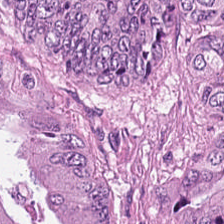H&E. 0.5 µm per pixel. WSI patch. Impression → malignant epithelium.
